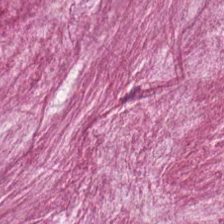The tissue type is extracellular mucin.
